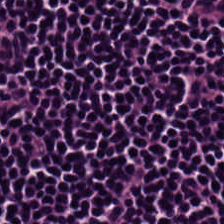Hematoxylin-and-eosin section: lymphocytic infiltrate.
